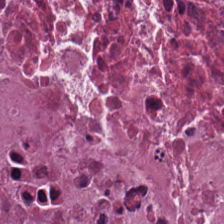Q: What does this patch show?
A: This is necrotic debris.
